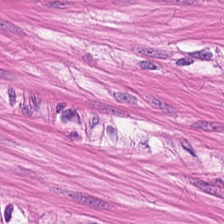Stain: hematoxylin and eosin.
Preparation: formalin-fixed paraffin-embedded section.
Resolution: 0.5 microns per pixel.
Tissue: smooth-muscle tissue.
